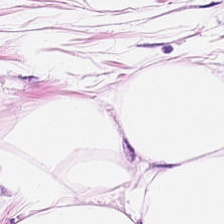Stain: hematoxylin-and-eosin stained section.
Preparation: formalin-fixed paraffin-embedded section.
Tile size: 224×224 px tile.
Classification: adipose tissue.
